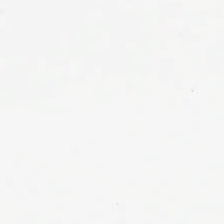Hematoxylin-and-eosin stained section — Finding — no tissue.
